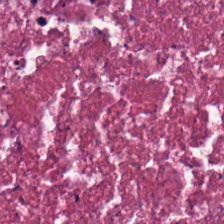FFPE tissue section. Hematoxylin-and-eosin stained section. Predominant tissue = debris.
